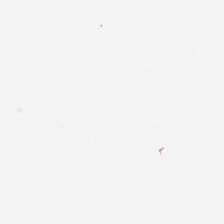Hematoxylin-and-eosin stained section — Background (no tissue).
